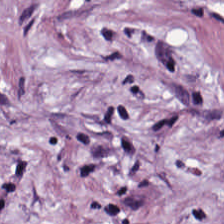Tissue class = tumor stroma.
